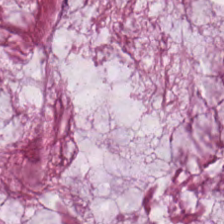Predominant tissue: extracellular mucin.
